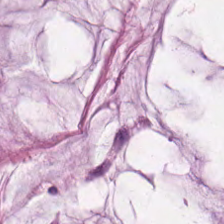Stain: H&E-stained tissue section.
Resolution: 0.5 µm/px.
Predominant tissue: mucus.
